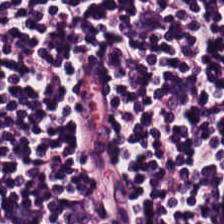Hematoxylin and eosin; 0.5 microns per pixel. Predominant tissue — lymphoid infiltrate.
